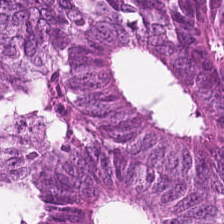H&E. Q: What does this patch show?
A: Tumor epithelium.
